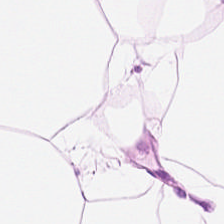H&E · formalin-fixed paraffin-embedded section.
Q: Classify this patch.
A: It is adipose tissue.
